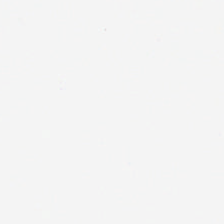H&E-stained tissue section.
This patch shows background.
